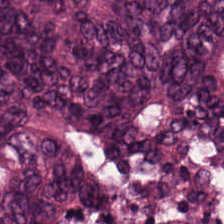H&E. 0.5 µm/px — This field is colorectal adenocarcinoma.
